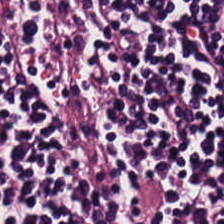Brightfield. H&E.
The tissue here is lymphocyte aggregate.
